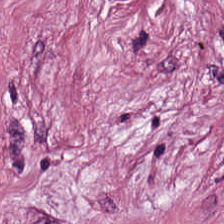Hematoxylin-and-eosin stained section.
Q: What tissue is shown?
A: The field shows cancer-associated stroma.
